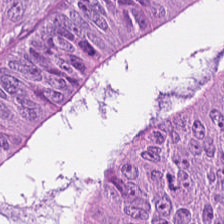Stain: H&E stain.
Tissue type: malignant epithelium.
